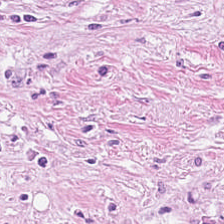H&E stain — The tissue here is tumor-associated stroma.
